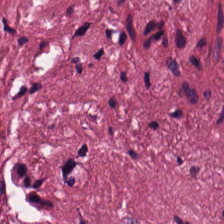Hematoxylin-and-eosin stained section. This field is desmoplastic stroma.
